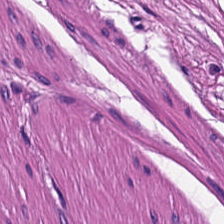Hematoxylin and eosin. The predominant tissue is smooth muscle.
